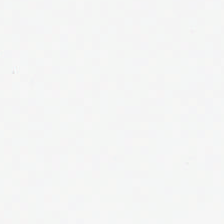Brightfield microscopy · FFPE tissue section · H&E-stained tissue section — Content: no tissue.
